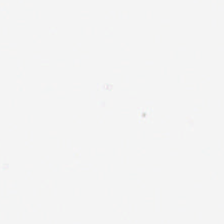{"content": "background"}
